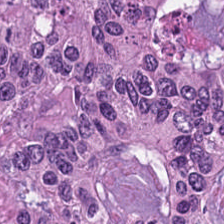Hematoxylin-and-eosin stained section — Classification — adenocarcinoma.
